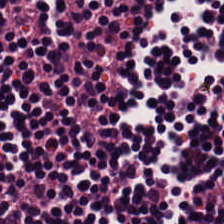Tissue class: lymphocyte aggregate.
